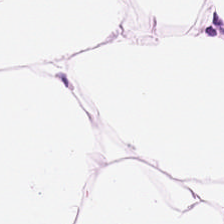{"tissue_type": "adipose"}
